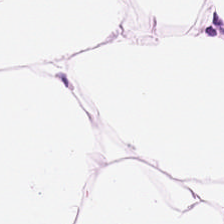{"tissue_type": "adipose"}
